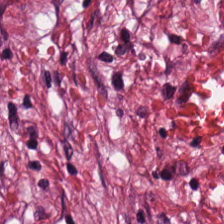Hematoxylin-and-eosin stained section — Q: What is shown in this field?
A: This is desmoplastic stroma.
